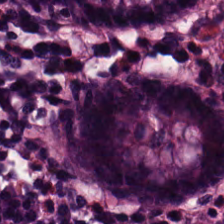The tissue here is normal colonic mucosa.
